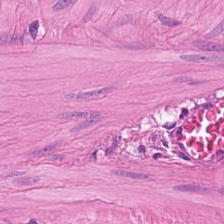224×224 px tile. H&E. FFPE tissue section — Finding — smooth muscle.
